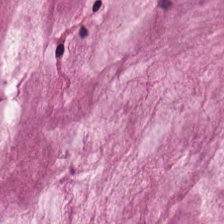H&E-stained tissue section. Formalin-fixed paraffin-embedded section. The predominant tissue is mucus.
